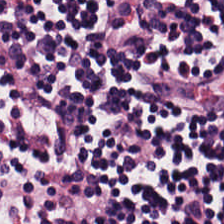H&E; FFPE tissue section.
Histology → lymphocyte aggregate.
